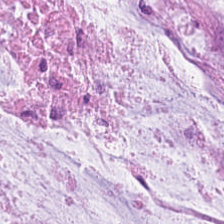Hematoxylin-and-eosin stained section.
This field is mucin.
